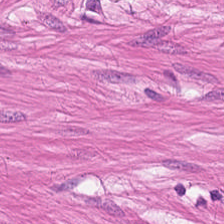Stain: hematoxylin-and-eosin stained section.
Preparation: FFPE.
Classification: muscularis.
